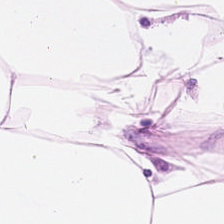Finding → adipose.
